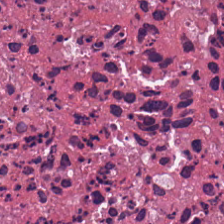H&E stain — Finding → cellular debris.
